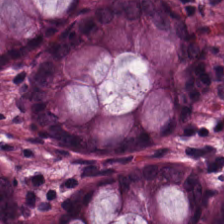Q: What tissue type is shown here?
A: It is non-neoplastic colon mucosa.
